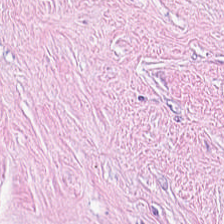224×224 px tile. H&E — Tumor stroma.
